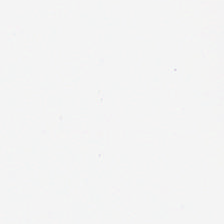Hematoxylin and eosin · 224×224 px patch — This field is background (no tissue).
